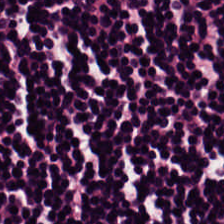H&E-stained tissue section.
Tissue class = lymphocyte aggregate.
